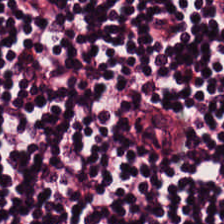Hematoxylin and eosin. 0.5 µm per pixel. FFPE — The tissue class is lymphocytes.
